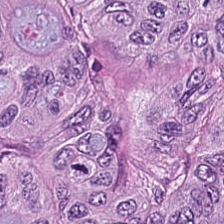Tissue class — colorectal adenocarcinoma.
